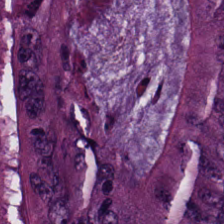FFPE tissue section. H&E stain. 224×224 pixel tile. Q: What tissue type is shown here?
A: This is colorectal adenocarcinoma epithelium.
